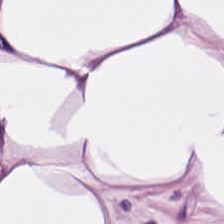Stain: H&E stain.
Classification: adipose tissue.
